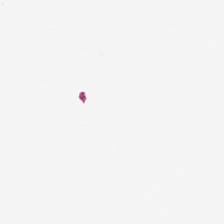224×224 px tile. H&E. The field content is background (no tissue).
